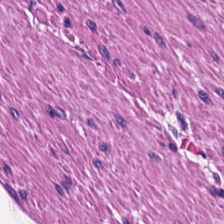This field is smooth-muscle tissue.
